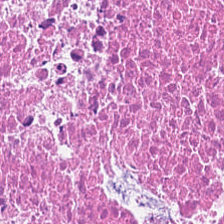Stain: H&E.
Predominant tissue: cellular debris.
